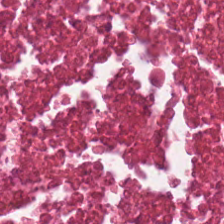Hematoxylin-and-eosin stained section — The tissue here is cellular debris.
